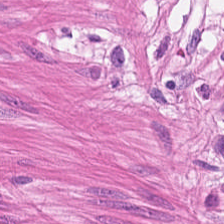Hematoxylin and eosin. 224×224 px tile. 20× equivalent magnification. Q: Identify the tissue.
A: This is smooth muscle.
